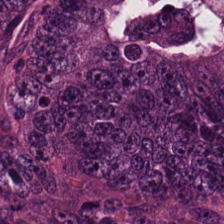224×224 px patch · hematoxylin and eosin — Colorectal adenocarcinoma epithelium.
